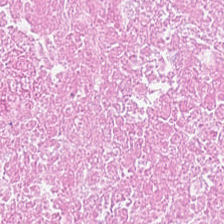H&E-stained tissue section · FFPE tissue section · 224×224 px patch. The predominant tissue is necrotic debris.
